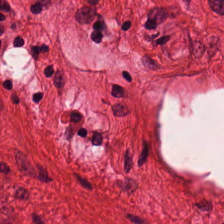FFPE tissue section; H&E stain — Tissue class: smooth-muscle tissue.
